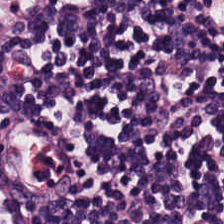{"tissue_type": "lymphoid infiltrate"}
